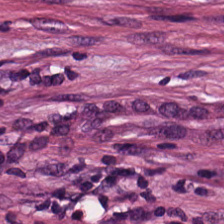Hematoxylin and eosin.
Tissue = tumor-associated stroma.
